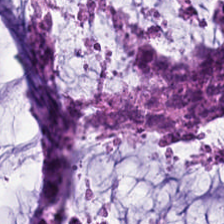Q: What tissue is shown?
A: This is mucin.
